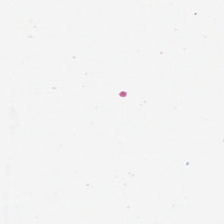H&E-stained tissue section.
Background (no tissue).
